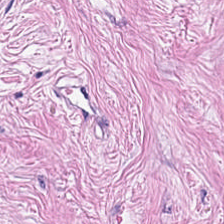Stain: H&E-stained tissue section.
Classification: tumor stroma.
